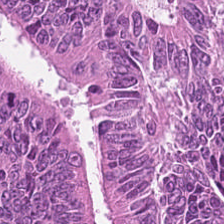H&E.
Impression — colorectal adenocarcinoma epithelium.
